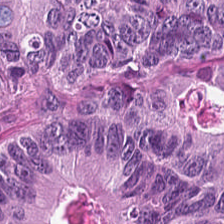Q: Classify this patch.
A: This is colorectal adenocarcinoma.
